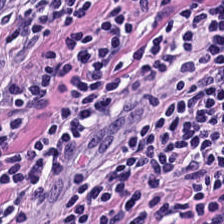H&E · 20× equivalent magnification. The classification is lymphocytic infiltrate.
